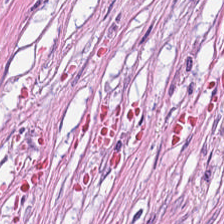H&E. Brightfield. 224×224 px tile.
The predominant tissue is tumor-associated stroma.
